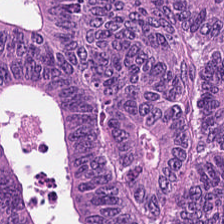Stain: hematoxylin and eosin.
Predominant tissue: malignant epithelium.
